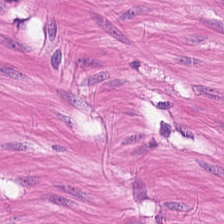FFPE tissue section; H&E-stained tissue section — Showing smooth muscle.
